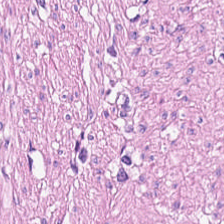FFPE tissue section. H&E stain — Q: Identify the tissue.
A: It is smooth-muscle tissue.
